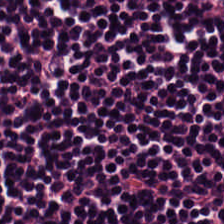Hematoxylin and eosin. FFPE.
Q: What is the predominant tissue type?
A: The field shows lymphoid infiltrate.
